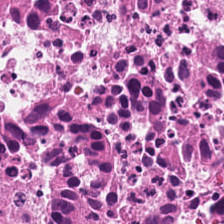Impression — cellular debris.
